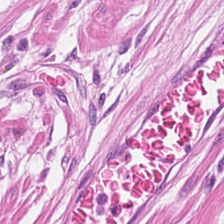H&E stain.
Showing smooth-muscle tissue.
